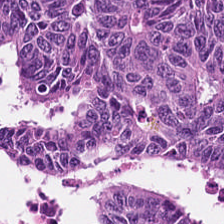Tissue class — tumor epithelium.
